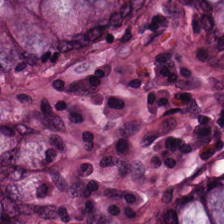Stain: H&E stain.
Tissue: non-neoplastic colon mucosa.
